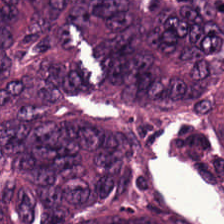H&E stain.
This patch shows malignant epithelium.
